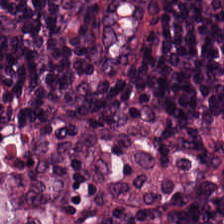Hematoxylin and eosin — Predominantly lymphocytes.
